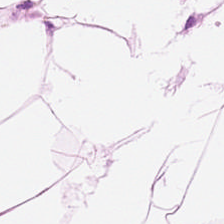Hematoxylin-and-eosin stained section — Showing adipose tissue.
